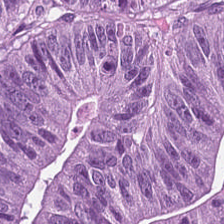This field is colorectal adenocarcinoma epithelium.
